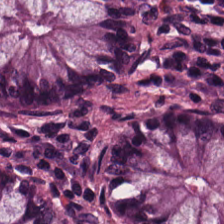Stain: hematoxylin-and-eosin stained section.
Classification: non-neoplastic colon mucosa.
